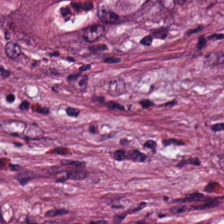Hematoxylin-and-eosin stained section.
Impression — cancer-associated stroma.
